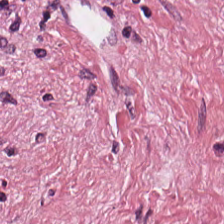Whole-slide-image patch · H&E — Tissue: desmoplastic stroma.
